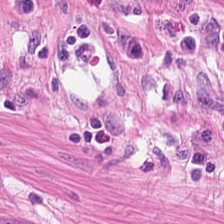20× equivalent magnification. H&E.
This field is muscularis.
